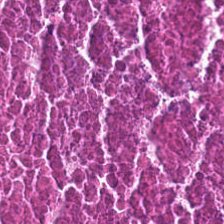H&E. Finding → debris.
